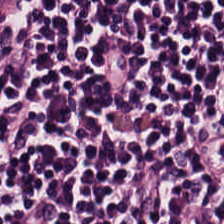Hematoxylin-and-eosin stained section. 0.5 µm/px — Tissue class: lymphoid infiltrate.
